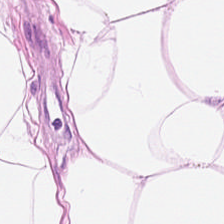H&E.
Q: Classify this patch.
A: It is adipocytes.
